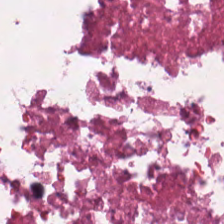Hematoxylin-and-eosin stained section · 224×224 px patch · formalin-fixed paraffin-embedded section — Predominant tissue — debris.
